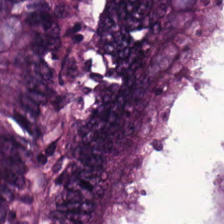The tissue here is colorectal adenocarcinoma epithelium.
